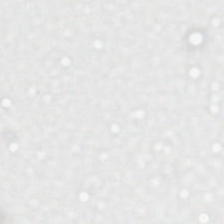Q: What is shown here?
A: This is background.
